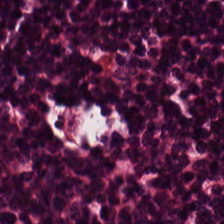H&E.
Q: What is shown in this field?
A: It is lymphoid infiltrate.
